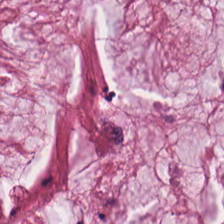H&E stain — Mucin.
